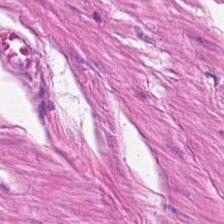Hematoxylin and eosin.
This field is muscularis.
